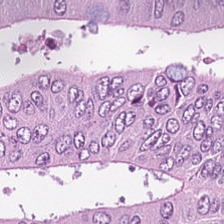Hematoxylin-and-eosin stained section. Showing colorectal adenocarcinoma.
